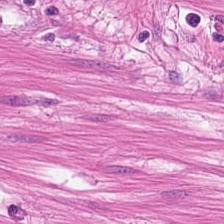H&E.
Q: What is shown in this field?
A: It is smooth-muscle tissue.
